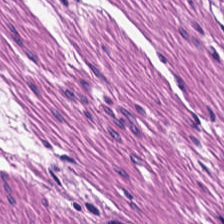Q: What is shown here?
A: This is smooth-muscle tissue.
